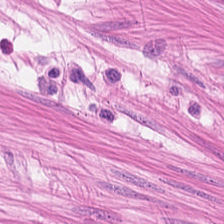Tissue class — muscularis.
